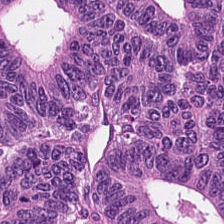0.5 µm/px; FFPE; H&E-stained tissue section.
{"tissue_type": "adenocarcinoma"}
